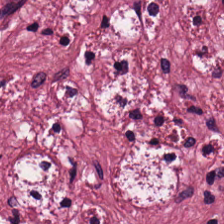Hematoxylin-and-eosin stained section · WSI patch. The tissue is tumor-associated stroma.
